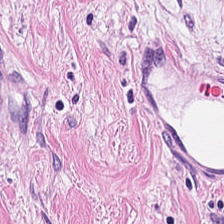Hematoxylin and eosin. Q: Identify the tissue.
A: The field shows tumor-associated stroma.
